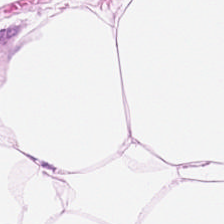H&E-stained tissue section. Brightfield microscopy.
Q: What tissue is shown?
A: This is fat tissue.
